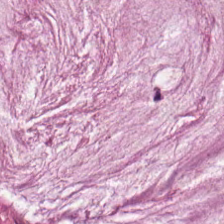Hematoxylin-and-eosin stained section — {"tissue_type": "mucus"}
